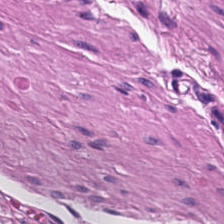Classification = muscularis.
